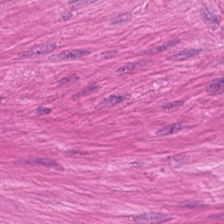H&E-stained tissue section showing smooth muscle.
